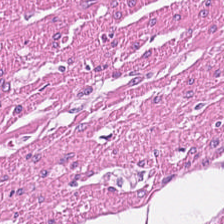The classification is muscularis.
